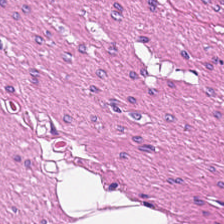H&E stain — The tissue is smooth muscle.
